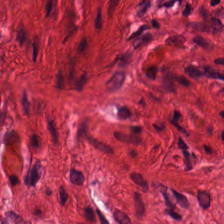Stain: H&E.
Acquisition: whole-slide-image patch.
Tile size: 224×224 px tile.
Tissue: smooth muscle.
